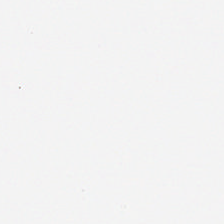Background — no tissue in this field.
